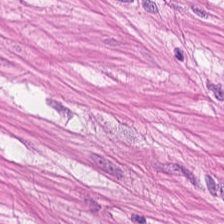Hematoxylin-and-eosin stained section; FFPE tissue section. Tissue type: smooth-muscle tissue.
